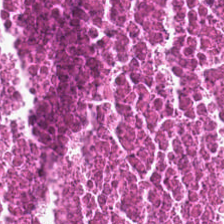Stain: H&E.
Tissue class: cellular debris.
